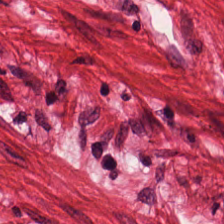H&E stain.
{"tissue_type": "smooth-muscle tissue"}
